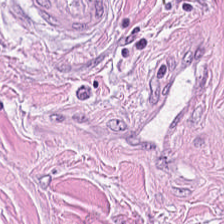H&E.
Q: What tissue type is shown here?
A: It is cancer-associated stroma.
